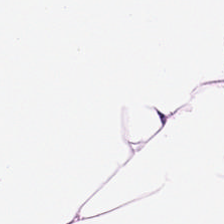Hematoxylin and eosin — Showing adipose.
